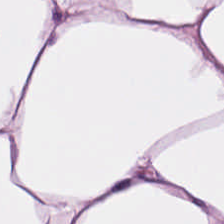Stain: H&E.
Tissue class: adipose.
